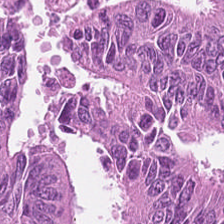Predominantly malignant epithelium.
